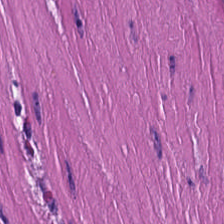Q: What is shown here?
A: This is muscularis.
